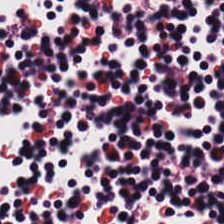H&E-stained tissue section. Predominantly lymphocytes.
